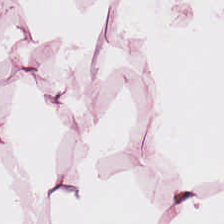Finding → adipose tissue.
